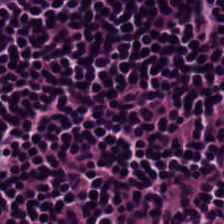H&E stain; 224×224 pixel tile; FFPE. The predominant tissue is lymphocytes.
